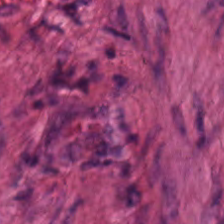224×224 pixel tile; H&E — Histology → smooth muscle.
